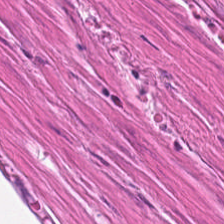H&E-stained tissue section · 224×224 pixel tile.
Impression — smooth muscle.
